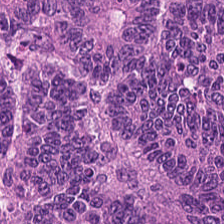Hematoxylin-and-eosin stained section — Showing adenocarcinoma.
